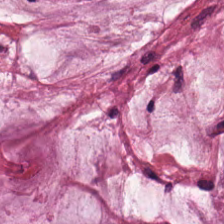Formalin-fixed paraffin-embedded section · H&E stain.
Finding — mucus.
